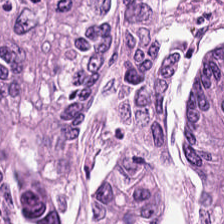224×224 px patch. H&E-stained tissue section.
This field is colorectal adenocarcinoma epithelium.
